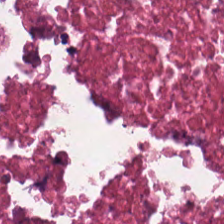H&E — cellular debris.
